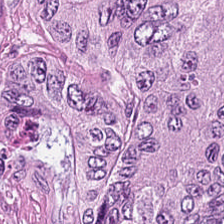H&E-stained tissue section — Predominantly colorectal adenocarcinoma epithelium.
